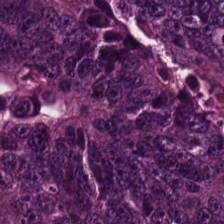H&E stain · formalin-fixed paraffin-embedded section.
The tissue here is colorectal adenocarcinoma.
